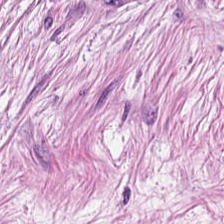Hematoxylin-and-eosin stained section.
Q: What tissue type is shown here?
A: This is tumor stroma.
